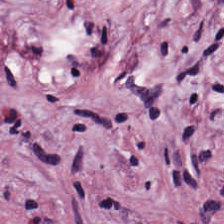Desmoplastic stroma.
